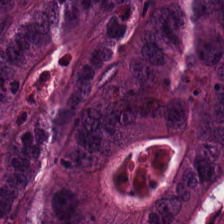224×224 px tile; H&E stain.
Predominantly colorectal adenocarcinoma.
